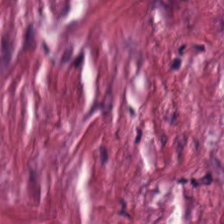H&E-stained tissue section.
This field is cancer-associated stroma.
